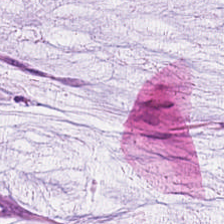224×224 pixel tile. H&E stain — This patch shows mucus.
